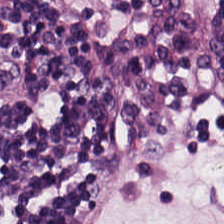Brightfield · hematoxylin-and-eosin stained section · 0.5 µm per pixel — This field is lymphocytes.
